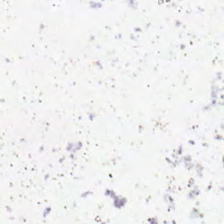Field content: empty background.
